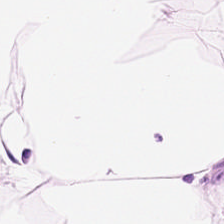Hematoxylin-and-eosin section: fat tissue.
